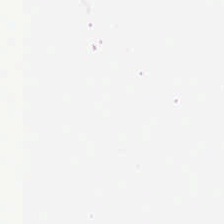H&E-stained tissue section. 224×224 px patch.
{"content": "background (no tissue)"}
